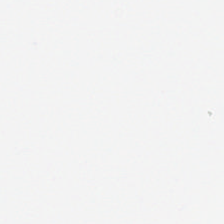Background.
